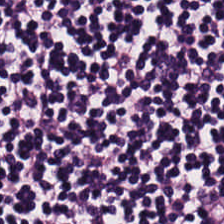Hematoxylin and eosin; FFPE; WSI patch — Lymphocytic infiltrate.
